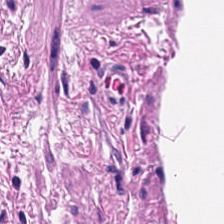H&E stain.
The predominant tissue is smooth muscle.
